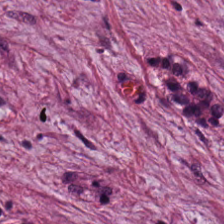Hematoxylin-and-eosin stained section.
Classification: tumor-associated stroma.
